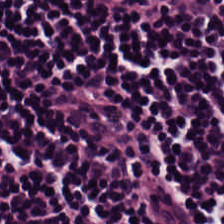H&E stain. This patch shows lymphocytic infiltrate.
